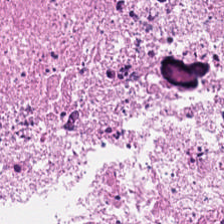Hematoxylin-and-eosin stained section. The tissue here is debris.
